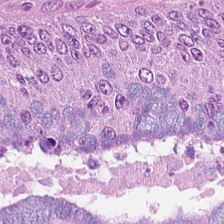Whole-slide-image patch. H&E-stained tissue section — Q: What tissue type is shown here?
A: This is malignant epithelium.
